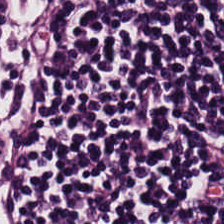Classification — lymphocyte aggregate.
